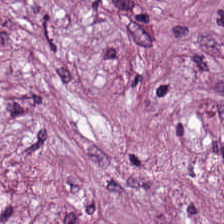Hematoxylin and eosin.
Histology → tumor stroma.
